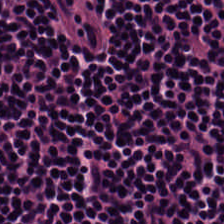Predominantly lymphocytes.
